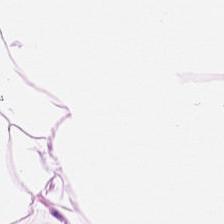Histology — adipose.
